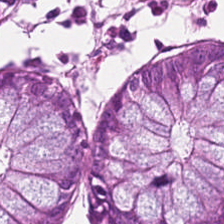H&E-stained tissue section.
Q: What is the predominant tissue type?
A: Non-neoplastic colon mucosa.
